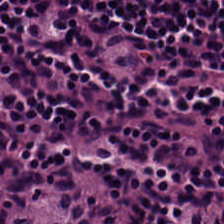Hematoxylin-and-eosin stained section — Predominant tissue — lymphocytes.
